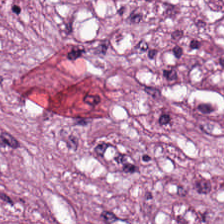0.5 µm per pixel; H&E. Tissue class: desmoplastic stroma.
